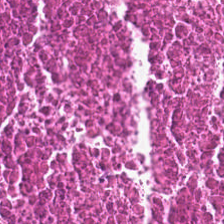H&E · formalin-fixed paraffin-embedded section — Classification — debris.
